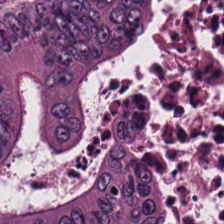Stain: H&E-stained tissue section.
Tissue class: colorectal adenocarcinoma epithelium.
